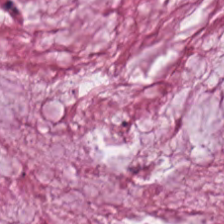Hematoxylin-and-eosin stained section — {"tissue_type": "extracellular mucin"}
